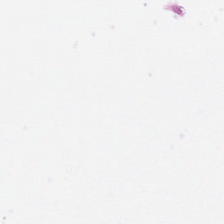20× equivalent magnification; hematoxylin-and-eosin stained section. The field content is background.
